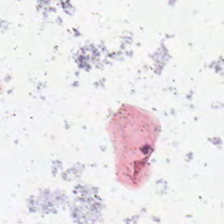Hematoxylin-and-eosin stained section. Histology → no tissue.
